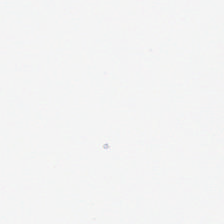H&E stain. This field is background (no tissue).
